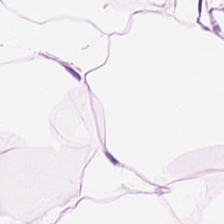H&E-stained tissue section; 224×224 px patch — Q: What does this patch show?
A: Adipose tissue.
